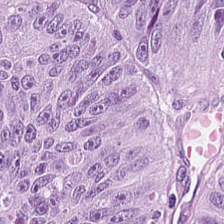H&E. FFPE. Q: Identify the tissue.
A: Adenocarcinoma.
